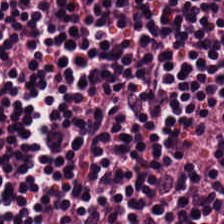Q: What does this patch show?
A: The field shows lymphocyte aggregate.
